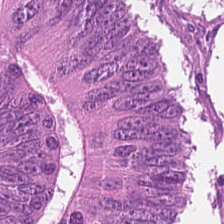Hematoxylin-and-eosin stained section · 224×224 px tile — {"tissue_type": "adenocarcinoma"}
